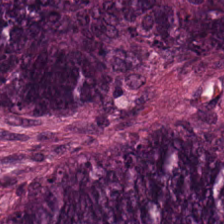Stain: H&E.
Tissue type: tumor epithelium.
